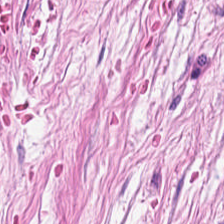Stain: hematoxylin-and-eosin stained section.
Acquisition: brightfield.
Tissue: cancer-associated stroma.
